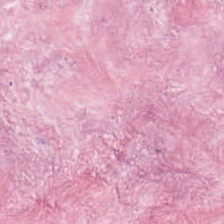Hematoxylin and eosin — Showing tumor stroma.
